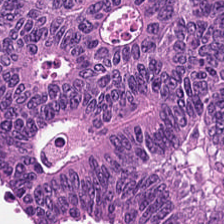Classification = colorectal adenocarcinoma epithelium.
